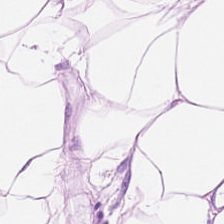Hematoxylin and eosin — Impression → adipose.
